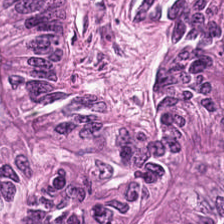Stain: hematoxylin-and-eosin stained section.
Tissue: colorectal adenocarcinoma.
